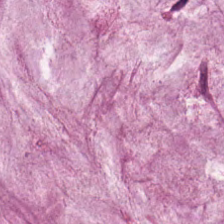Whole-slide-image patch; hematoxylin-and-eosin stained section; 0.5 microns per pixel.
{"tissue_type": "extracellular mucin"}
